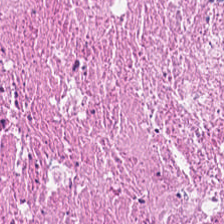H&E.
This patch shows debris.
